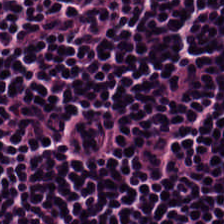Hematoxylin and eosin. This field is lymphocyte aggregate.
